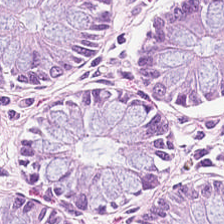H&E. Q: What does this patch show?
A: This is normal colon mucosa.
